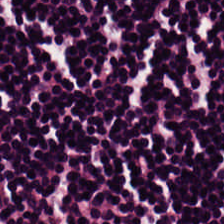H&E-stained tissue section.
The predominant tissue is lymphoid infiltrate.
